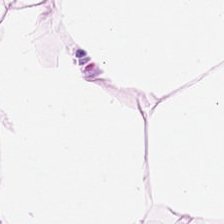H&E-stained tissue section. Predominantly adipose tissue.
